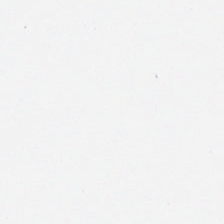Hematoxylin-and-eosin stained section — Background — no tissue in this field.
